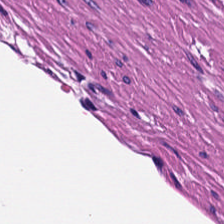Hematoxylin-and-eosin stained section; 0.5 µm/px.
Classification: smooth muscle.
